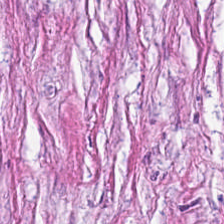224×224 px tile · H&E stain · brightfield microscopy. Q: What is the predominant tissue type?
A: Tumor-associated stroma.
